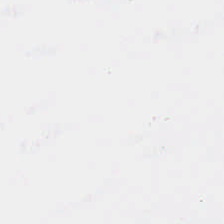FFPE tissue section · whole-slide-image patch · hematoxylin and eosin — Empty field — empty background.
